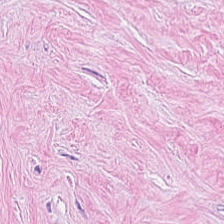H&E; 20× equivalent magnification; formalin-fixed paraffin-embedded section.
Q: What is the predominant tissue type?
A: It is desmoplastic stroma.
